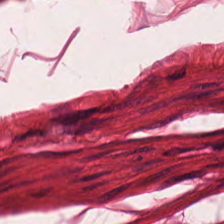Stain: H&E-stained tissue section.
Tissue type: smooth muscle.
